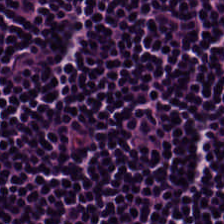0.5 µm per pixel; hematoxylin and eosin. Tissue type = lymphocyte aggregate.
